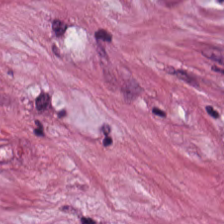H&E stain.
This patch shows tumor stroma.
